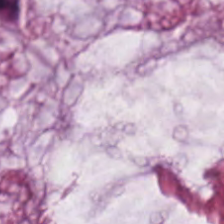H&E — mucin.
